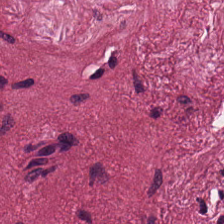H&E stain.
Predominantly tumor-associated stroma.
